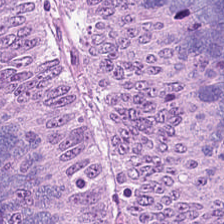H&E · whole-slide-image patch. The tissue class is adenocarcinoma.
